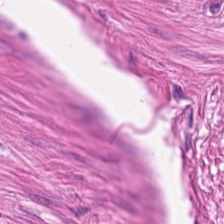H&E-stained tissue section.
Predominantly muscularis.
